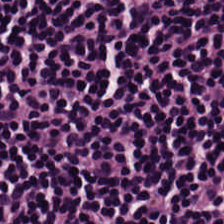Stain: H&E.
Tissue type: lymphocytes.
